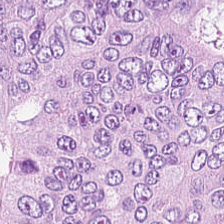H&E-stained tissue section.
This field is adenocarcinoma.
